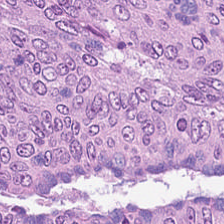H&E.
Predominant tissue — colorectal adenocarcinoma.
